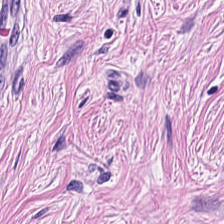H&E — cancer-associated stroma.
